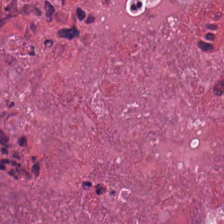Brightfield; formalin-fixed paraffin-embedded section; H&E stain.
Tissue — cellular debris.
